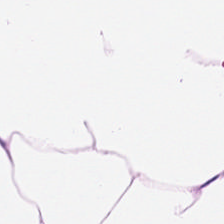Adipose.
